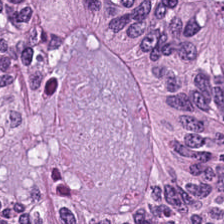{"tissue_type": "malignant epithelium"}
